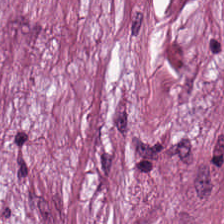H&E stain — Q: Identify the tissue.
A: It is cancer-associated stroma.
